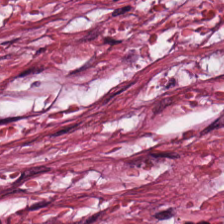Stain: H&E.
Acquisition: whole-slide-image patch.
Tissue class: cancer-associated stroma.
